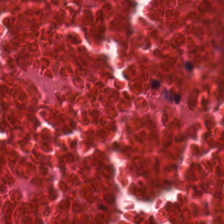Stain: H&E.
Classification: debris.
